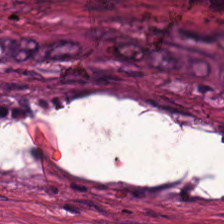H&E. Q: What tissue is shown?
A: It is cancer-associated stroma.
